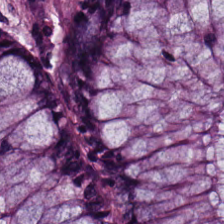Q: What is the predominant tissue type?
A: The field shows normal colon mucosa.
